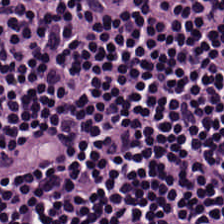Hematoxylin-and-eosin stained section. Predominantly lymphocytic infiltrate.
